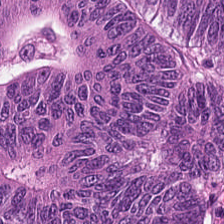H&E-stained section; the field shows tumor epithelium.
